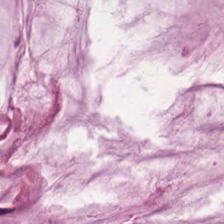H&E-stained tissue section showing extracellular mucin.
